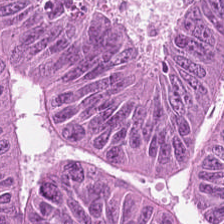Q: What tissue type is shown here?
A: This is colorectal adenocarcinoma.
